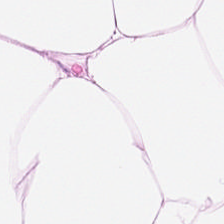Hematoxylin and eosin.
Tissue class: adipose tissue.
